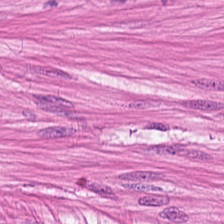FFPE tissue section. H&E-stained tissue section. Showing smooth muscle.
